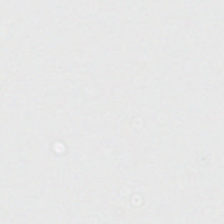Brightfield microscopy · H&E stain — Content: background (no tissue).
